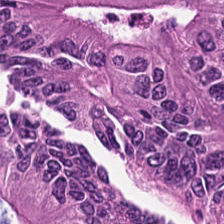Hematoxylin and eosin · brightfield.
Tissue = malignant epithelium.
